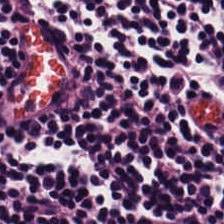H&E stain — The tissue here is lymphocyte aggregate.
